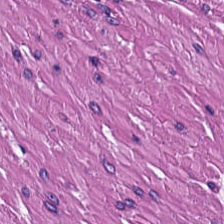Stain: hematoxylin-and-eosin stained section.
Tissue class: muscularis.
